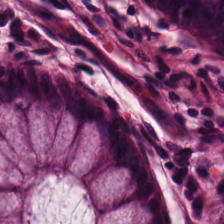Classification: benign colonic mucosa.
